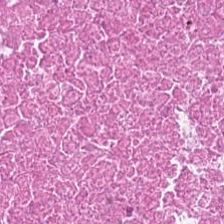20× equivalent magnification; hematoxylin and eosin; 224×224 px patch.
Tissue type — cellular debris.
